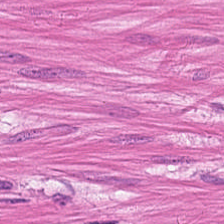H&E; formalin-fixed paraffin-embedded section — Smooth muscle.
